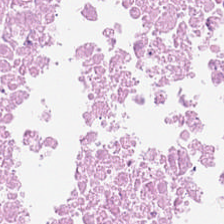H&E · 20× equivalent magnification. Showing necrotic debris.
